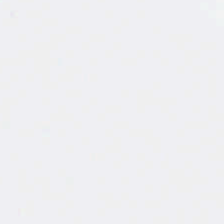Hematoxylin-and-eosin stained section. The field content is background.
